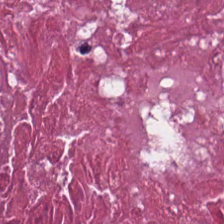H&E. Formalin-fixed paraffin-embedded section. {"tissue_type": "necrotic debris"}
